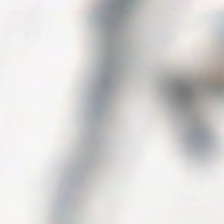0.5 µm per pixel · FFPE · H&E stain — Q: What is shown here?
A: No tissue.
